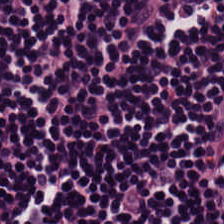Brightfield; 0.5 µm/px; H&E stain.
Classification: lymphocytes.
